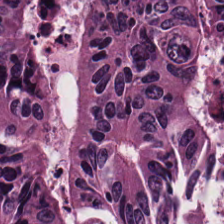0.5 microns per pixel; H&E — The predominant tissue is adenocarcinoma.
